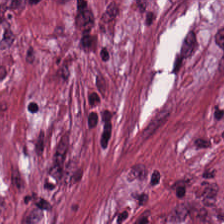Tissue = tumor-associated stroma.
